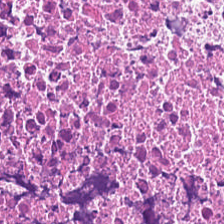Hematoxylin-and-eosin stained section; FFPE.
This field is cellular debris.
